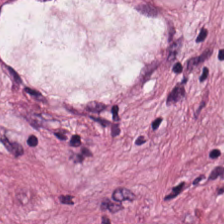H&E-stained tissue section. The classification is cancer-associated stroma.
